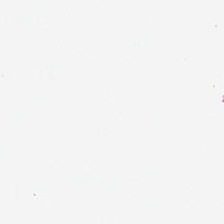H&E stain; 224×224 px patch — Empty field — no tissue.
